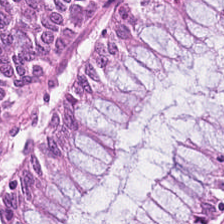Stain: hematoxylin and eosin.
Tissue class: non-neoplastic colon mucosa.
